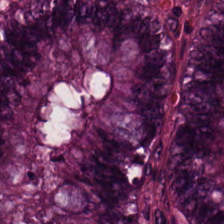H&E stain. WSI patch. 224×224 px tile. The predominant tissue is normal colon mucosa.
